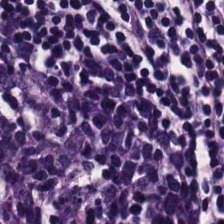224×224 px patch · H&E-stained tissue section.
Finding — lymphocytic infiltrate.
